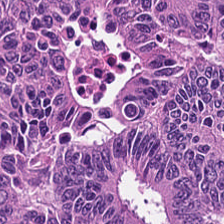H&E.
Predominant tissue — adenocarcinoma.
